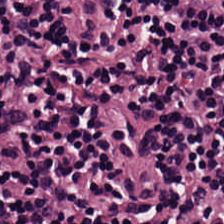H&E-stained tissue section.
Lymphocytic infiltrate.
